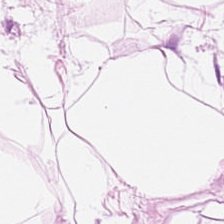224×224 pixel tile · WSI patch · H&E stain. Classification — adipose.
